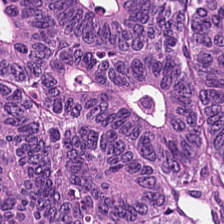H&E-stained tissue section; FFPE tissue section — Q: Classify this patch.
A: Adenocarcinoma.
